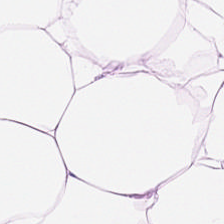Formalin-fixed paraffin-embedded section. H&E stain — Impression — adipocytes.
